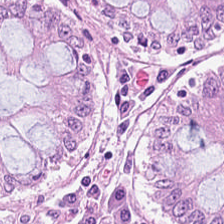H&E-stained tissue section — Classification — normal colonic mucosa.
